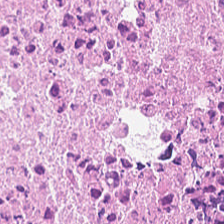Classification — cellular debris.
